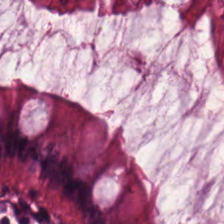H&E-stained tissue section — Q: Identify the tissue.
A: The field shows non-neoplastic colon mucosa.
